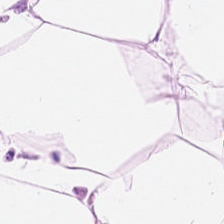Q: What tissue is shown?
A: Adipose.
